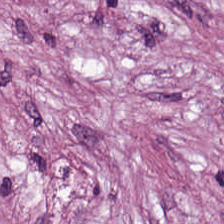Hematoxylin and eosin · FFPE tissue section — The predominant tissue is tumor stroma.
